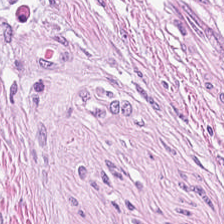The tissue type is tumor stroma.
